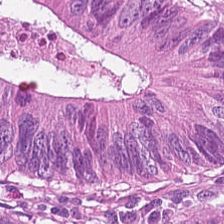FFPE · H&E stain.
Finding — colorectal adenocarcinoma epithelium.
